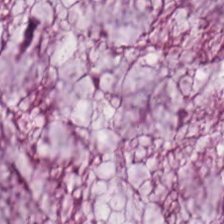Formalin-fixed paraffin-embedded section; H&E-stained tissue section — This patch shows mucin.
